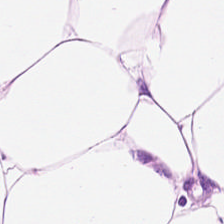Hematoxylin and eosin — Q: What is shown here?
A: Adipocytes.
